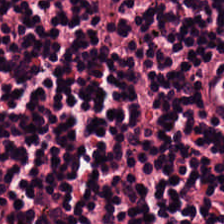224×224 px tile · H&E-stained tissue section. {"tissue_type": "lymphocytic infiltrate"}
